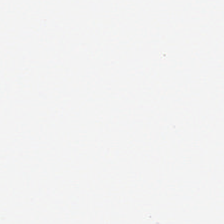This field is background (no tissue).
